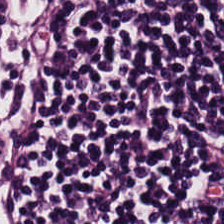Formalin-fixed paraffin-embedded section; hematoxylin and eosin. Q: What is shown in this field?
A: It is lymphocyte aggregate.
